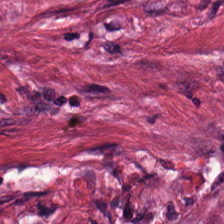H&E · FFPE — Showing tumor-associated stroma.
